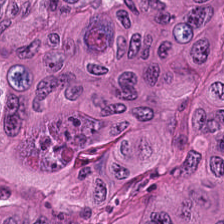20× equivalent magnification · 224×224 px patch · H&E-stained tissue section.
Classification: tumor epithelium.
